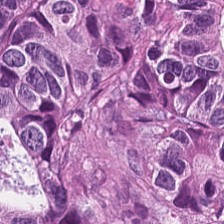H&E stain — Q: What tissue is shown?
A: It is tumor epithelium.
